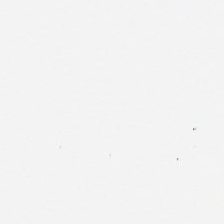H&E · 20× equivalent magnification — Finding → background.
